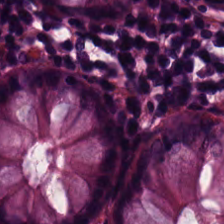This patch shows non-neoplastic colon mucosa.
